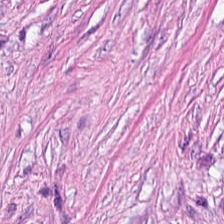Hematoxylin-and-eosin stained section. Tissue class — desmoplastic stroma.
